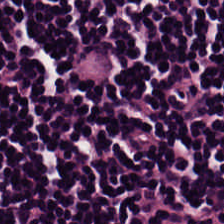Hematoxylin-and-eosin stained section. Classification — lymphoid infiltrate.
